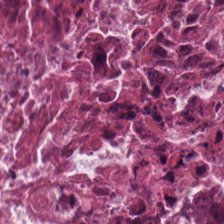H&E-stained tissue section. Q: What is shown in this field?
A: The field shows necrotic debris.
